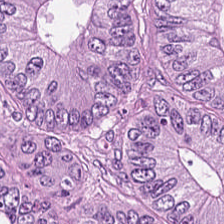FFPE tissue section. Hematoxylin and eosin. Impression — adenocarcinoma.
